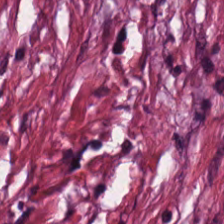Hematoxylin and eosin. FFPE.
Showing tumor-associated stroma.
